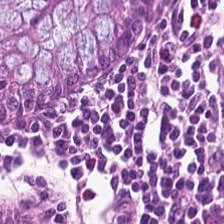224×224 px tile · hematoxylin-and-eosin stained section · whole-slide-image patch. The tissue here is normal colonic mucosa.
